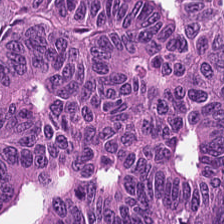Stain: H&E-stained tissue section.
Classification: adenocarcinoma.
